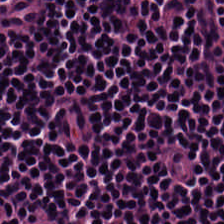Hematoxylin and eosin — The predominant tissue is lymphocytes.
